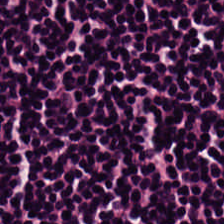Hematoxylin-and-eosin stained section. Formalin-fixed paraffin-embedded section. Tissue: lymphoid infiltrate.
